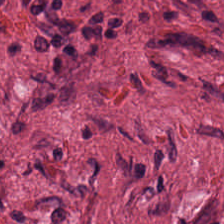H&E. Q: What does this patch show?
A: Tumor-associated stroma.
